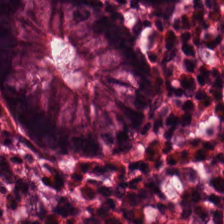H&E stain. The predominant tissue is benign colonic mucosa.
